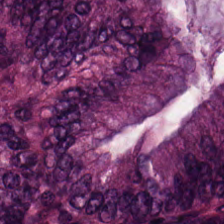{"tissue_type": "malignant epithelium"}
